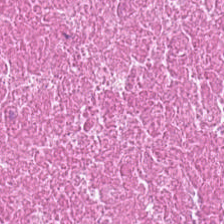Stain: H&E.
Resolution: 0.5 microns per pixel.
Tissue type: cellular debris.
